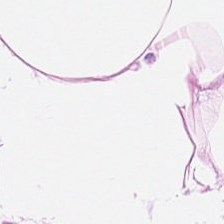H&E-stained tissue section. Q: What is shown in this field?
A: It is fat tissue.
